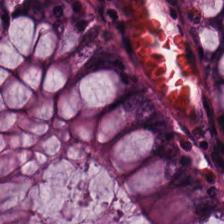224×224 px patch; whole-slide-image patch; hematoxylin-and-eosin stained section — Showing normal colon mucosa.
